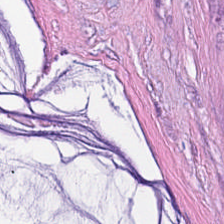H&E · FFPE.
Mucin.
